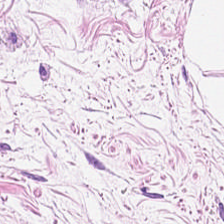224×224 pixel tile · hematoxylin and eosin · FFPE tissue section.
Tissue type — fat tissue.
